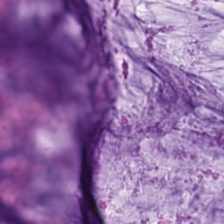H&E-stained tissue section.
The predominant tissue is extracellular mucin.
